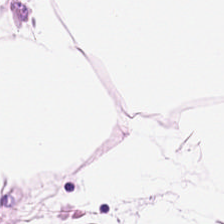WSI patch. Hematoxylin and eosin — Histology — adipose tissue.
